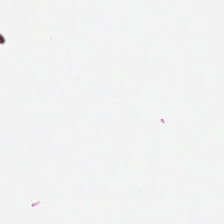H&E-stained tissue section — Finding → background (no tissue).
